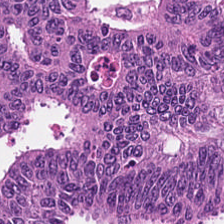224×224 px tile. Hematoxylin-and-eosin stained section.
This patch shows malignant epithelium.
